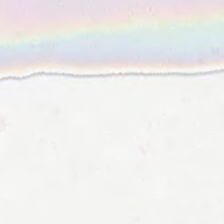H&E stain. FFPE. Q: What is shown in this field?
A: It is background.
